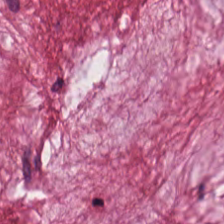224×224 px tile · hematoxylin and eosin. The tissue here is extracellular mucin.
